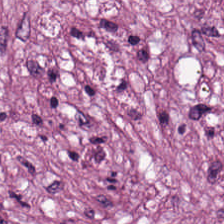Brightfield · FFPE tissue section · hematoxylin and eosin — Q: What tissue type is shown here?
A: It is desmoplastic stroma.
